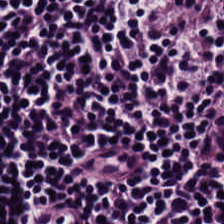Stain: H&E stain.
Tissue class: lymphoid infiltrate.
